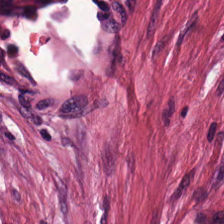H&E. The tissue here is desmoplastic stroma.
